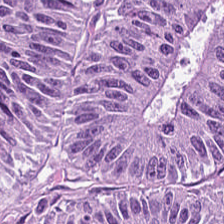20× equivalent magnification; H&E-stained tissue section.
Q: What tissue is shown?
A: The field shows colorectal adenocarcinoma epithelium.
